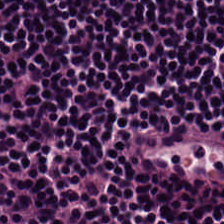H&E — Tissue class: lymphocytic infiltrate.
